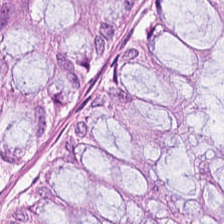Whole-slide-image patch · hematoxylin and eosin — The tissue is normal colon mucosa.
